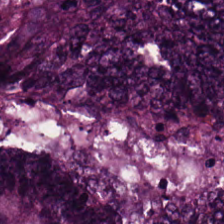Stain: H&E-stained tissue section.
Predominant tissue: adenocarcinoma.
